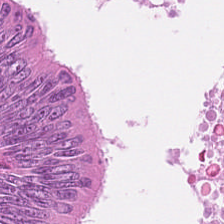The classification is colorectal adenocarcinoma.
